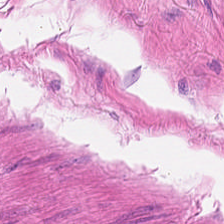H&E-stained tissue section.
Q: Identify the tissue.
A: Smooth-muscle tissue.
